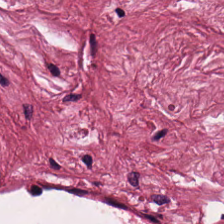H&E · formalin-fixed paraffin-embedded section · 20× equivalent magnification — The predominant tissue is tumor stroma.
